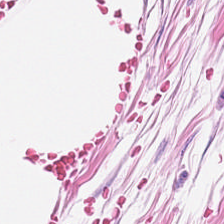Q: What is shown here?
A: It is fat tissue.
